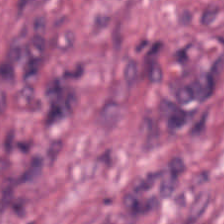Stain: hematoxylin-and-eosin stained section.
Classification: desmoplastic stroma.
